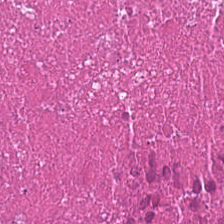Q: What does this patch show?
A: It is debris.
